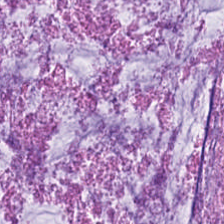Stain: H&E-stained tissue section.
Resolution: 0.5 µm per pixel.
Tissue type: mucin.
